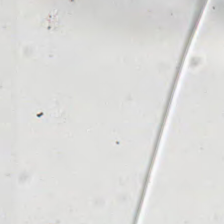224×224 px patch · H&E stain. Classification = background (no tissue).
